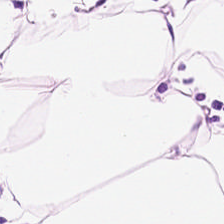Brightfield microscopy; H&E stain; 0.5 µm/px. Showing adipose tissue.
